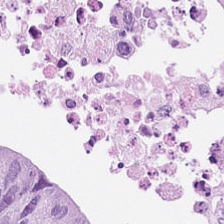H&E-stained tissue section.
Q: What does this patch show?
A: Colorectal adenocarcinoma epithelium.
